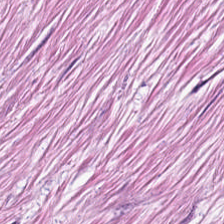Hematoxylin-and-eosin stained section — Showing cancer-associated stroma.
